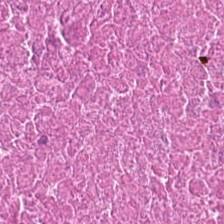H&E stain · whole-slide-image patch · FFPE tissue section — Predominantly cellular debris.
